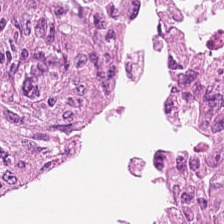The tissue here is colorectal adenocarcinoma epithelium.
